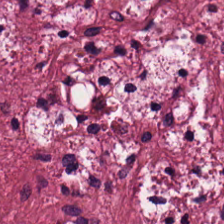H&E stain. Q: What is the predominant tissue type?
A: The field shows desmoplastic stroma.
